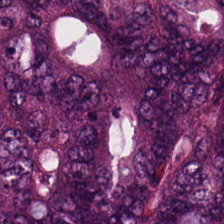Predominant tissue: adenocarcinoma.
